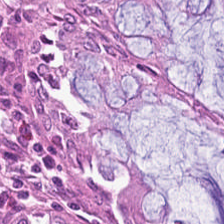H&E. Finding — benign colonic mucosa.
